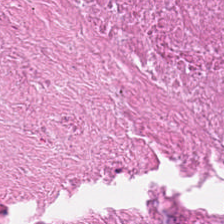H&E-stained tissue section. Predominantly necrotic debris.
